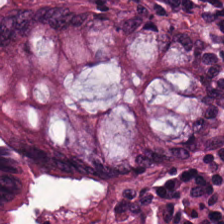Stain: H&E stain.
Acquisition: brightfield.
Tissue class: non-neoplastic colon mucosa.
